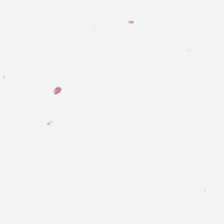H&E stain. 0.5 µm per pixel. The content is empty background.
